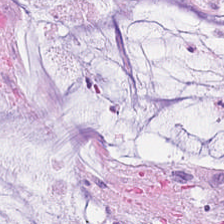0.5 microns per pixel; hematoxylin and eosin; WSI patch. This field is extracellular mucin.
